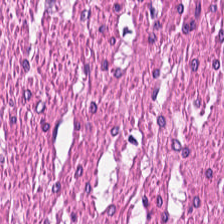Showing muscularis.
